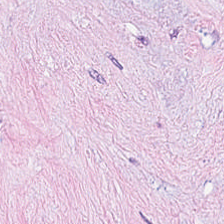H&E stain. This field is cancer-associated stroma.
